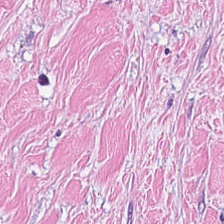H&E.
Tissue type = desmoplastic stroma.
